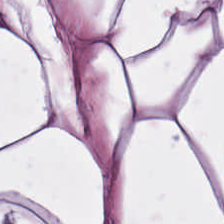H&E. Q: What is the predominant tissue type?
A: It is adipose.
